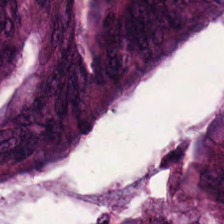Stain: H&E.
Tile size: 224×224 px tile.
Predominant tissue: colorectal adenocarcinoma epithelium.
